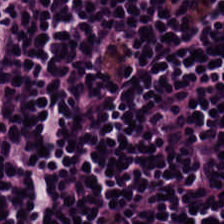H&E-stained tissue section; 224×224 px tile. Showing lymphocytic infiltrate.
